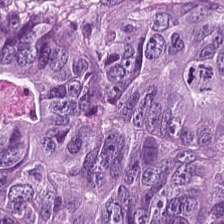WSI patch · 224×224 px patch · hematoxylin-and-eosin stained section. The tissue type is tumor epithelium.
